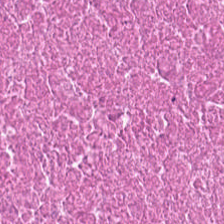Brightfield. H&E.
Debris.
